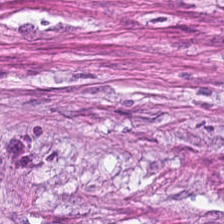H&E stain.
The classification is cancer-associated stroma.
